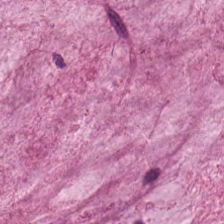Predominant tissue: mucus.
